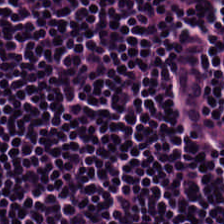Stain: H&E.
Tile size: 224×224 px tile.
Acquisition: brightfield microscopy.
Tissue class: lymphocytes.
